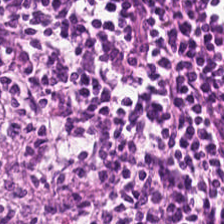H&E — Classification: lymphocytic infiltrate.
